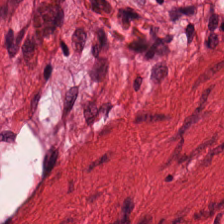Brightfield microscopy; formalin-fixed paraffin-embedded section; H&E.
Tissue — muscularis.
